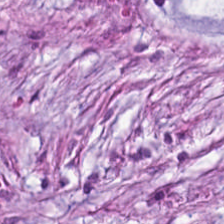Stain: hematoxylin-and-eosin stained section.
Tile size: 224×224 pixel tile.
Tissue class: desmoplastic stroma.
